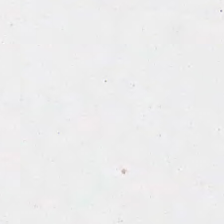H&E stain — Impression → no tissue.
